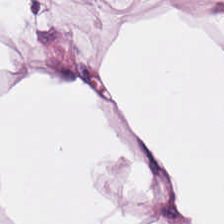H&E. The predominant tissue is adipose.
